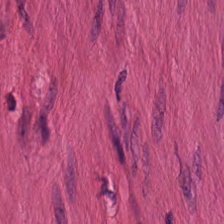H&E stain — This field is smooth-muscle tissue.
